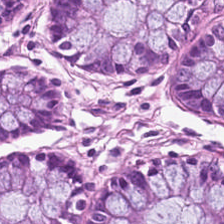WSI patch · H&E-stained tissue section — Tissue — normal colon mucosa.
